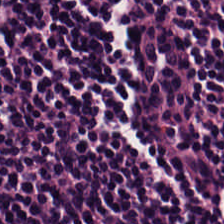Lymphocytic infiltrate.
